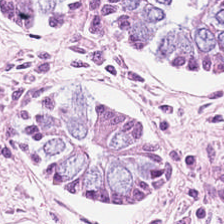Hematoxylin and eosin — Tissue = non-neoplastic colon mucosa.
